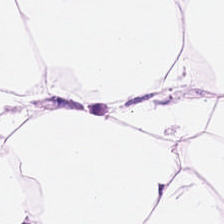This patch shows adipose tissue.
